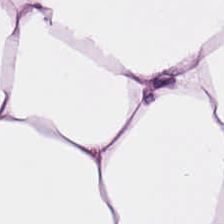Hematoxylin-and-eosin stained section.
The tissue type is fat tissue.
